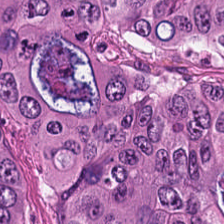Showing malignant epithelium.
